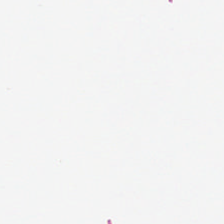H&E — {"content": "background (no tissue)"}
